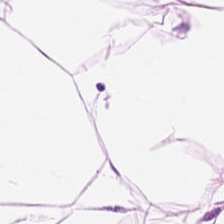Stain: H&E stain.
Preparation: FFPE tissue section.
Resolution: 0.5 µm/px.
Predominant tissue: adipocytes.
